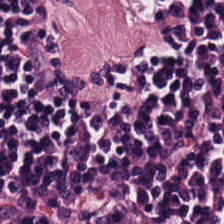H&E-stained tissue section. Lymphocytes.
